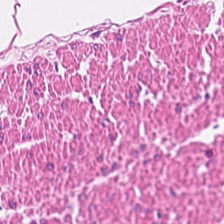Predominant tissue = smooth muscle.
